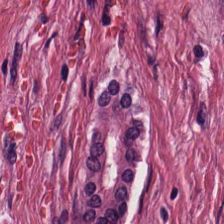Stain: H&E.
Classification: cancer-associated stroma.
